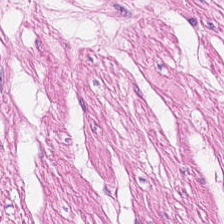224×224 px patch. H&E-stained tissue section. FFPE tissue section.
{"tissue_type": "smooth muscle"}
